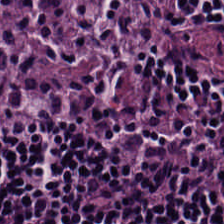Brightfield microscopy · H&E · 0.5 µm per pixel.
Finding — lymphocytes.
